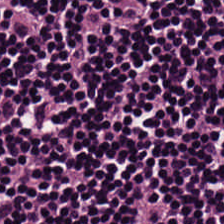Showing lymphocytes.
